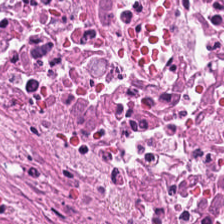Classification — cellular debris.
